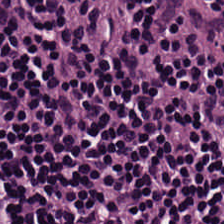Stain: hematoxylin-and-eosin stained section.
Predominant tissue: lymphocytic infiltrate.
